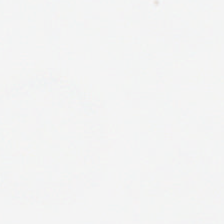Hematoxylin and eosin.
Histology → background (no tissue).
